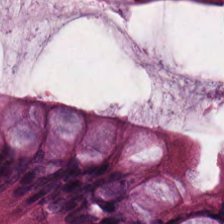224×224 px tile · 0.5 µm/px · H&E stain.
Predominantly normal colonic mucosa.
